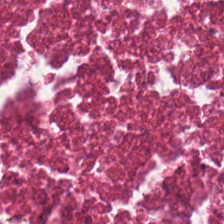H&E. Classification — cellular debris.
